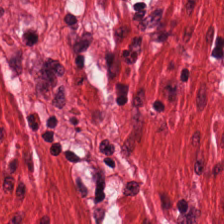H&E stain · brightfield · 0.5 microns per pixel.
The predominant tissue is smooth muscle.
